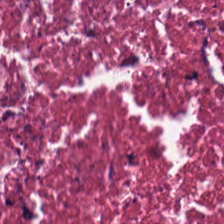The tissue here is debris.
